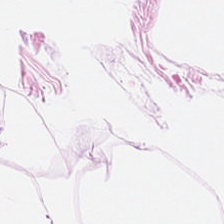Hematoxylin-and-eosin stained section. 224×224 px patch. Showing adipose.
